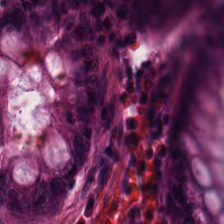H&E — benign colonic mucosa.
